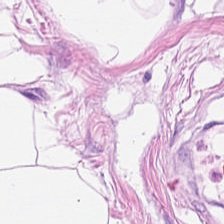Predominant tissue — adipose tissue.
